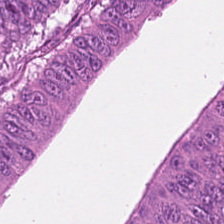H&E. Predominant tissue = malignant epithelium.
